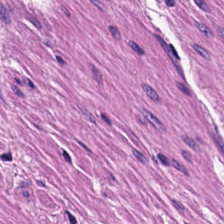Histology — smooth-muscle tissue.
